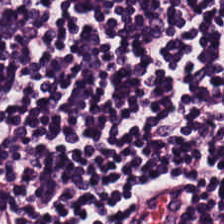H&E; 0.5 microns per pixel — Showing lymphocyte aggregate.
